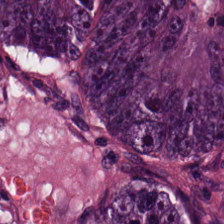Finding — colorectal adenocarcinoma epithelium.
